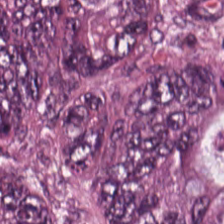Hematoxylin-and-eosin stained section; 0.5 µm/px; 224×224 px tile. The tissue here is malignant epithelium.
